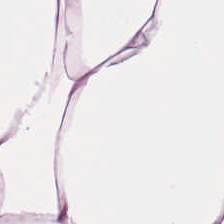H&E. 224×224 px patch. Showing adipose tissue.
